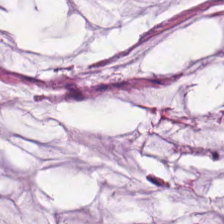H&E stain — Showing extracellular mucin.
